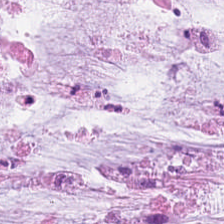H&E-stained tissue section.
This field is mucus.
